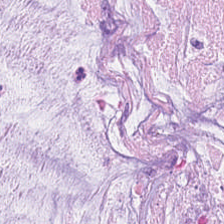Stain: H&E.
Acquisition: brightfield.
Resolution: 20× equivalent magnification.
Classification: mucin.
